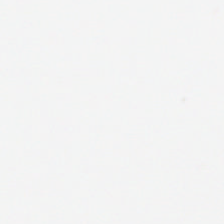H&E-stained tissue section. This patch shows background.
